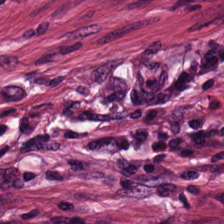Showing tumor stroma.
